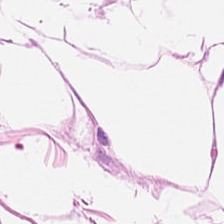Stain: H&E.
Tile size: 224×224 px patch.
Classification: adipose.
